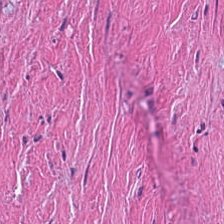Tissue = cellular debris.
